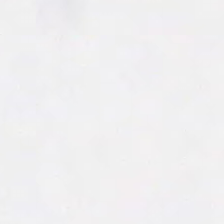Hematoxylin-and-eosin stained section — {"content": "background (no tissue)"}
